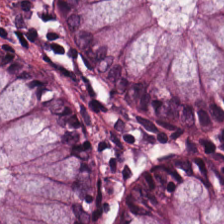Hematoxylin-and-eosin stained section. WSI patch — The tissue here is benign colonic mucosa.
